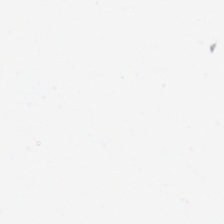Background — no tissue in this field.
